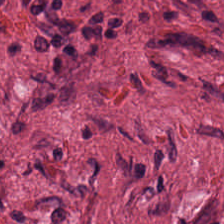Hematoxylin-and-eosin stained section.
The tissue here is tumor stroma.
